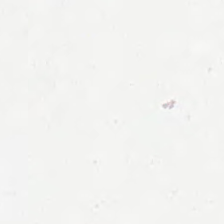This field is background (no tissue).
